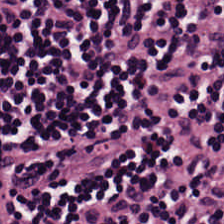This field is lymphocytes.
